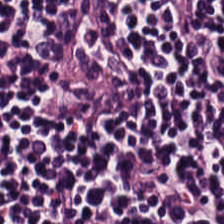Finding — lymphocytes.
